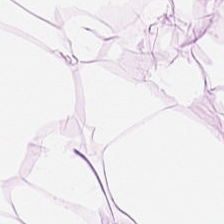Stain: H&E-stained tissue section.
Tissue type: adipose.
